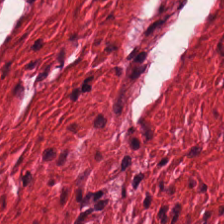Stain: H&E.
Tissue: muscularis.
